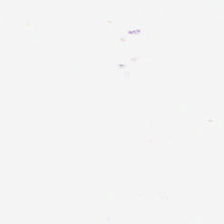H&E stain · brightfield — No tissue.
